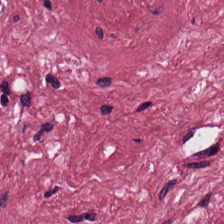This field is tumor-associated stroma.
